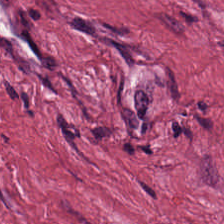H&E stain. Finding → tumor stroma.
